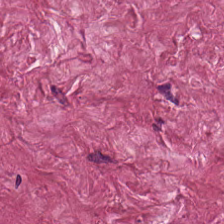Stain: H&E-stained tissue section.
Classification: cancer-associated stroma.
